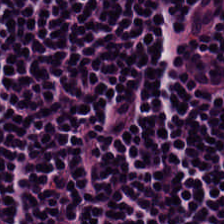H&E-stained tissue section. The tissue class is lymphocytes.
